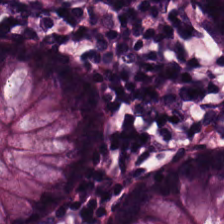H&E stain · FFPE · whole-slide-image patch — Q: What tissue type is shown here?
A: The field shows benign colonic mucosa.
